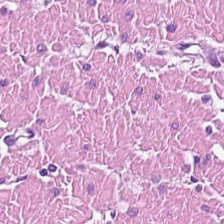Tissue = smooth-muscle tissue.
